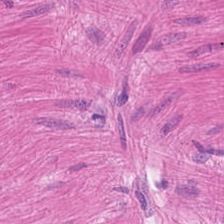H&E stain. WSI patch.
The predominant tissue is muscularis.
